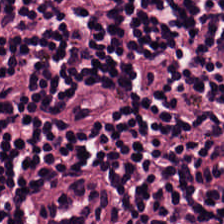0.5 µm per pixel; 224×224 pixel tile; H&E stain — Q: What type of tissue is this?
A: This is lymphoid infiltrate.
